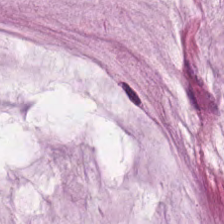H&E stain. Formalin-fixed paraffin-embedded section — Tissue = mucin.
